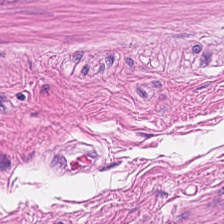224×224 pixel tile · hematoxylin-and-eosin stained section. {"tissue_type": "muscularis"}
